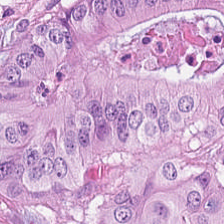Brightfield. Hematoxylin and eosin. FFPE tissue section. The classification is malignant epithelium.
